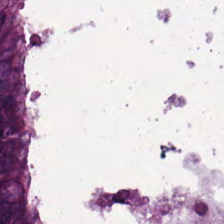224×224 pixel tile. H&E. WSI patch — Tissue type: malignant epithelium.
